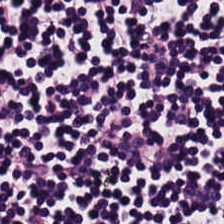Hematoxylin and eosin. Tissue class: lymphocytes.
